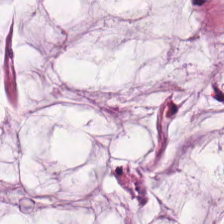H&E-stained tissue section. Tissue class — extracellular mucin.
